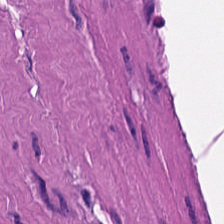H&E-stained tissue section.
Q: Classify this patch.
A: It is muscularis.
